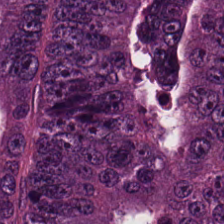Brightfield microscopy. 224×224 px tile. Hematoxylin and eosin — Malignant epithelium.
